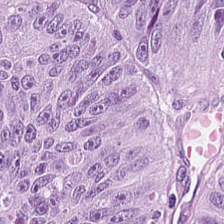Hematoxylin and eosin. Tissue type — colorectal adenocarcinoma epithelium.
